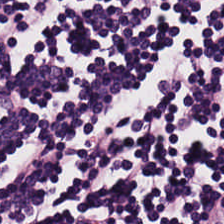H&E. {"tissue_type": "lymphocytes"}
